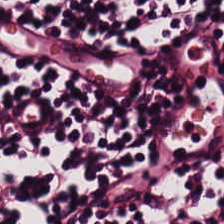The tissue type is lymphocytic infiltrate.
